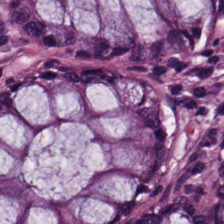FFPE tissue section · hematoxylin-and-eosin stained section · brightfield microscopy. Non-neoplastic colon mucosa.
